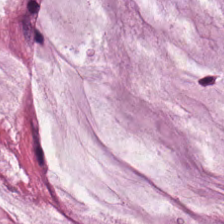Stain: H&E stain.
Tissue class: mucus.
